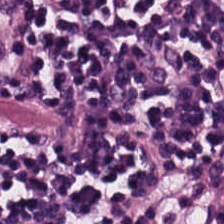Q: Classify this patch.
A: It is lymphocytic infiltrate.
